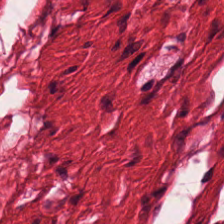0.5 microns per pixel · hematoxylin-and-eosin stained section — Muscularis.
